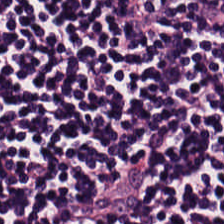Hematoxylin-and-eosin stained section — Showing lymphocyte aggregate.
